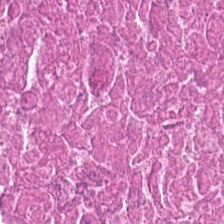224×224 px tile. H&E stain — Tissue class — debris.
